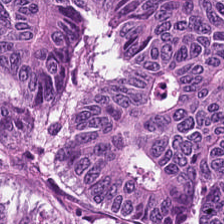H&E stain — This patch shows colorectal adenocarcinoma epithelium.
